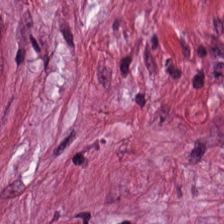Stain: hematoxylin-and-eosin stained section.
Tissue: desmoplastic stroma.
